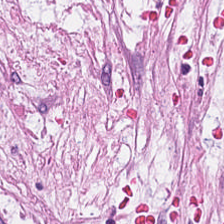H&E stain. Impression — tumor stroma.
